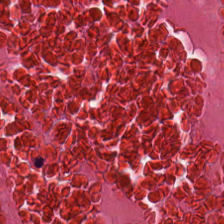Hematoxylin and eosin.
Q: What tissue is shown?
A: The field shows necrotic debris.
